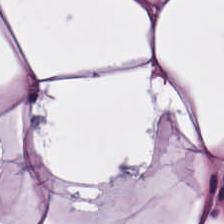Predominantly adipocytes.
